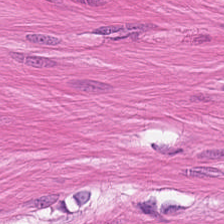Hematoxylin and eosin; 0.5 µm/px.
This patch shows smooth muscle.
